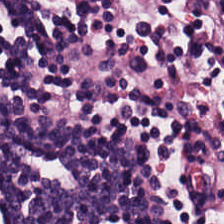Q: Classify this patch.
A: This is lymphocyte aggregate.
